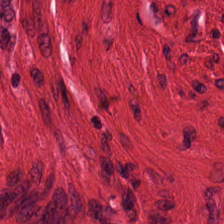H&E — muscularis.
